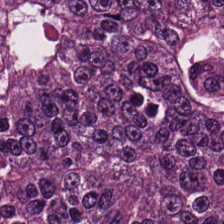This patch shows adenocarcinoma.
